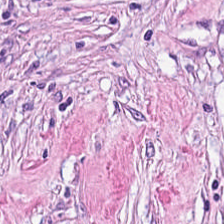H&E stain; 224×224 pixel tile. {"tissue_type": "tumor stroma"}
